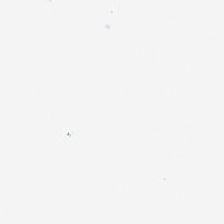224×224 px patch; H&E-stained tissue section — {"content": "background (no tissue)"}
